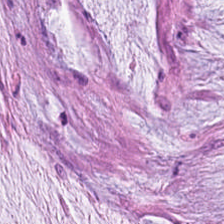H&E-stained tissue section · 224×224 px patch · 0.5 microns per pixel — Finding → mucus.
